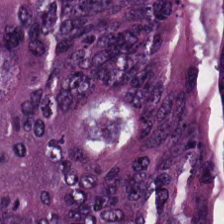Hematoxylin and eosin. {"tissue_type": "adenocarcinoma"}
